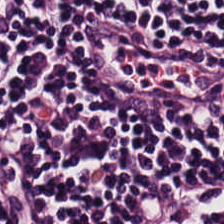H&E stain; 224×224 pixel tile — This patch shows lymphocytic infiltrate.
